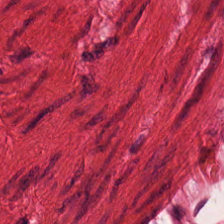20× equivalent magnification · H&E.
Q: What does this patch show?
A: This is smooth muscle.
